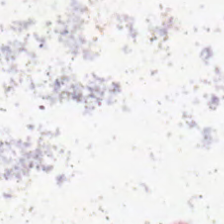Stain: hematoxylin-and-eosin stained section.
Classification: no tissue.
